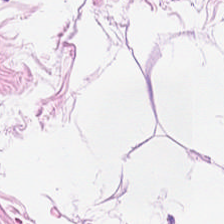Showing adipose.
